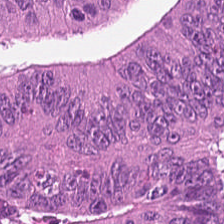Stain: hematoxylin and eosin.
Tissue class: tumor epithelium.
